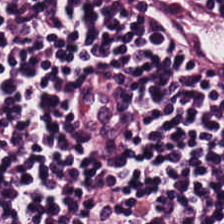The classification is lymphocytes.
